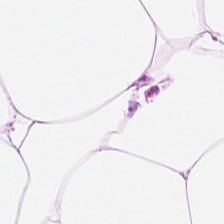H&E-stained tissue section — Classification = fat tissue.
